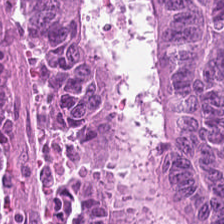0.5 microns per pixel; H&E-stained tissue section. Tumor epithelium.
